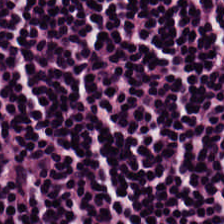H&E. Predominant tissue — lymphocytic infiltrate.
